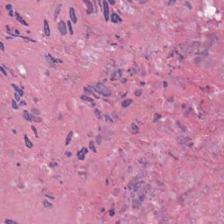Q: What is the predominant tissue type?
A: The field shows debris.
